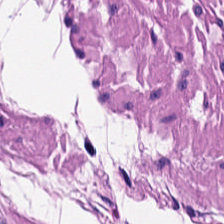H&E stain. Finding — smooth muscle.
